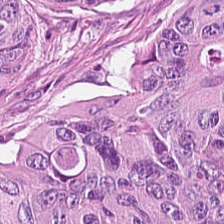H&E stain. 224×224 px patch.
Tissue — tumor epithelium.
